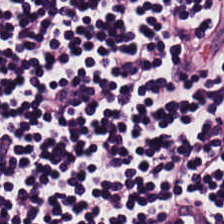H&E-stained tissue section.
Predominant tissue = lymphoid infiltrate.
